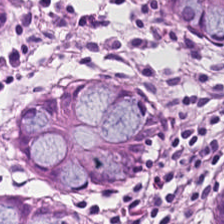224×224 pixel tile. Brightfield microscopy. H&E stain.
Finding — normal colon mucosa.
